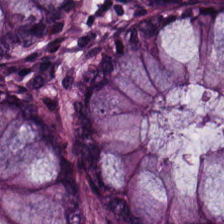Formalin-fixed paraffin-embedded section · 224×224 px patch · hematoxylin-and-eosin stained section. The tissue class is benign colonic mucosa.
